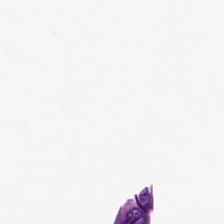224×224 px tile · 20× equivalent magnification · H&E — The content is background.
